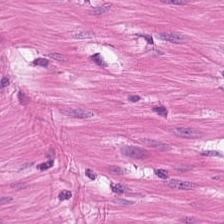H&E-stained tissue section — The tissue is smooth muscle.
